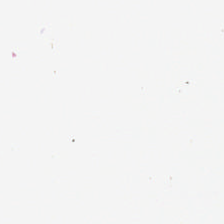Stain: hematoxylin and eosin.
Content: background.
